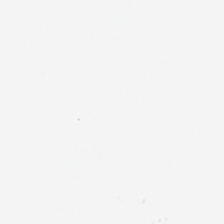Field content: empty background.
